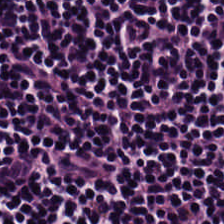H&E-stained tissue section. Impression → lymphocytes.
